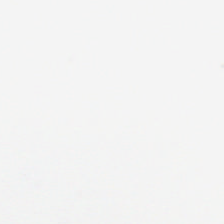Field content: background.
